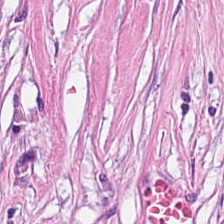The tissue type is desmoplastic stroma.
